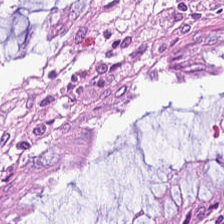FFPE tissue section; H&E-stained tissue section; 0.5 µm per pixel. Q: What does this patch show?
A: Non-neoplastic colon mucosa.
